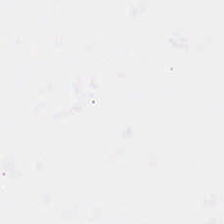Q: Classify this patch.
A: It is empty background.
